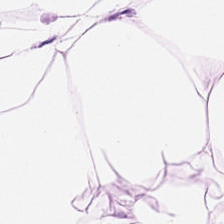Stain: H&E stain.
Tissue class: adipocytes.
